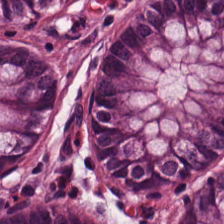Q: What type of tissue is this?
A: This is normal colonic mucosa.
